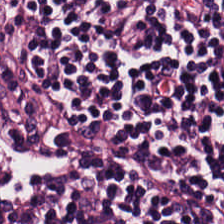Hematoxylin-and-eosin stained section.
Q: What is shown in this field?
A: Lymphoid infiltrate.
